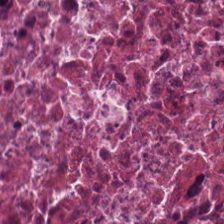H&E-stained tissue section; brightfield; 0.5 microns per pixel. This patch shows cellular debris.
